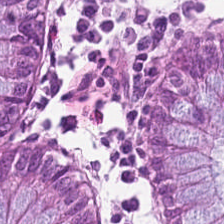H&E-stained tissue section; 0.5 microns per pixel; FFPE tissue section — Finding → normal colon mucosa.
